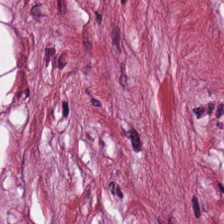H&E stain.
Showing desmoplastic stroma.
